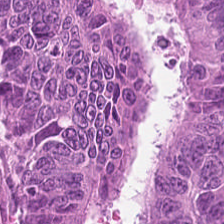224×224 px patch · 20× equivalent magnification · H&E-stained tissue section. Showing malignant epithelium.
